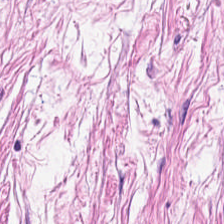FFPE tissue section; H&E. Q: What tissue type is shown here?
A: This is desmoplastic stroma.
